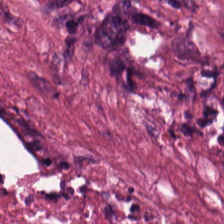H&E stain.
Histology — cellular debris.
